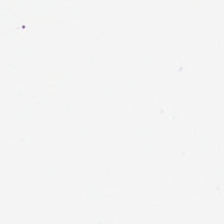Field content: empty background.
